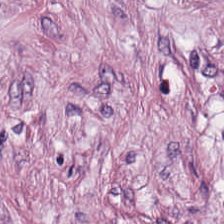H&E · WSI patch · 224×224 px patch. Predominantly cancer-associated stroma.
